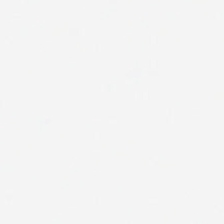Hematoxylin-and-eosin stained section · 224×224 pixel tile — This field is background (no tissue).
